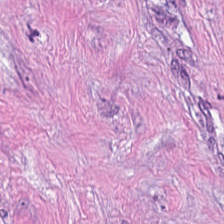Stain: H&E stain.
Predominant tissue: cancer-associated stroma.
